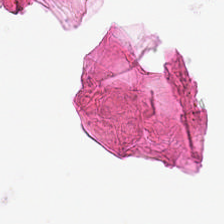Hematoxylin and eosin; FFPE tissue section — The field content is no tissue.
